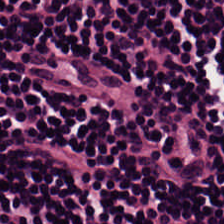H&E-stained tissue section — Q: Identify the tissue.
A: It is lymphoid infiltrate.
